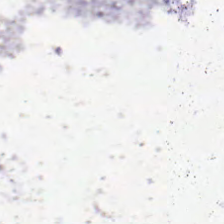H&E — The classification is background (no tissue).
